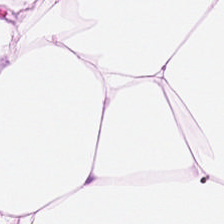The tissue class is adipose tissue.
